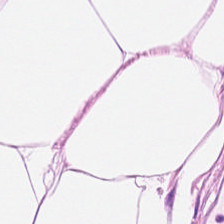224×224 pixel tile. WSI patch. H&E-stained tissue section — Showing fat tissue.
